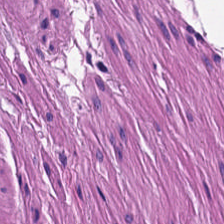Showing muscularis.
